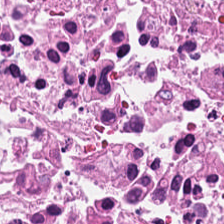224×224 px patch. H&E. Histology — debris.
